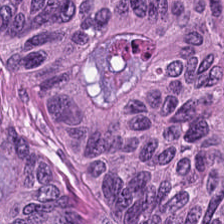H&E · 0.5 µm/px · brightfield microscopy — Histology — malignant epithelium.
